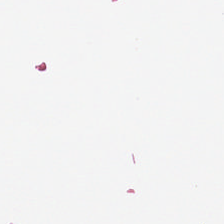20× equivalent magnification; H&E-stained tissue section; 224×224 px patch.
Background — no tissue in this field.
